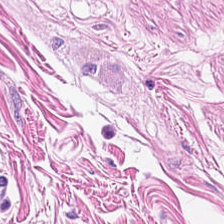224×224 px patch. WSI patch. H&E stain.
Smooth-muscle tissue.
